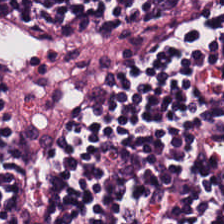H&E. This patch shows lymphocyte aggregate.
